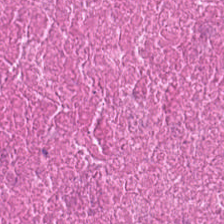20× equivalent magnification. Brightfield microscopy. H&E — The predominant tissue is necrotic debris.
